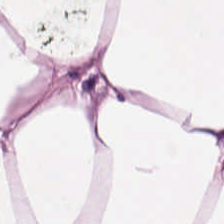The tissue class is fat tissue.
